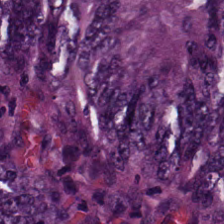H&E stain — Tissue type: tumor epithelium.
